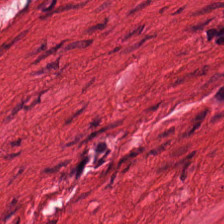H&E-stained tissue section.
Smooth muscle.
